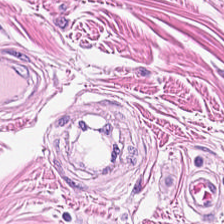H&E stain · brightfield — This patch shows muscularis.
